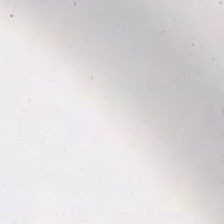Hematoxylin and eosin. This patch shows empty background.
